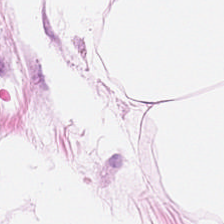Stain: H&E-stained tissue section.
Predominant tissue: adipocytes.
